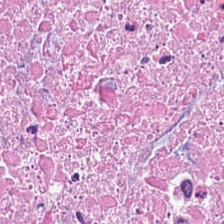Stain: H&E.
Predominant tissue: necrotic debris.
